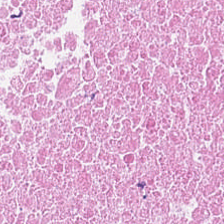H&E stain.
The tissue here is debris.
